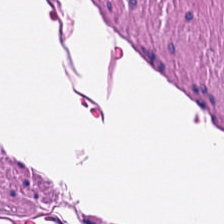FFPE · H&E-stained tissue section. Q: Identify the tissue.
A: This is smooth-muscle tissue.
